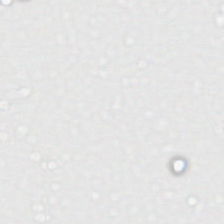0.5 µm per pixel · H&E — Histology — empty background.
